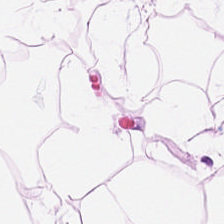{"tissue_type": "adipose"}
